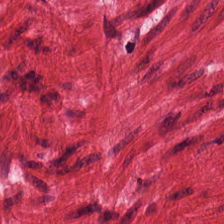Hematoxylin-and-eosin stained section.
The classification is smooth-muscle tissue.
